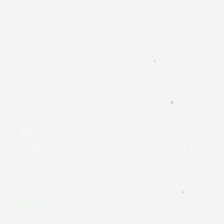Hematoxylin-and-eosin stained section.
Background — no tissue in this field.
